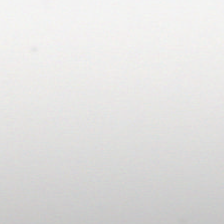H&E-stained tissue section. Histology — empty background.
